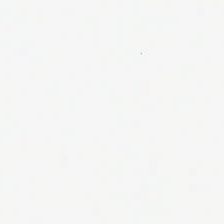Stain: hematoxylin and eosin.
Resolution: 20× equivalent magnification.
Classification: empty background.
